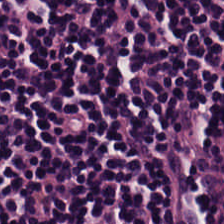Hematoxylin and eosin.
Q: Classify this patch.
A: It is lymphocytic infiltrate.
